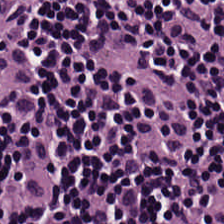Predominantly lymphocyte aggregate.
